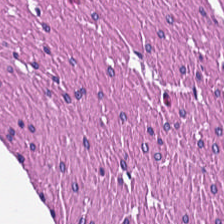224×224 pixel tile; hematoxylin and eosin — Q: What tissue type is shown here?
A: This is smooth muscle.
